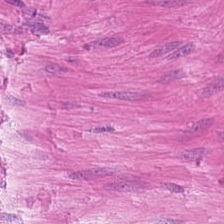H&E. The classification is smooth-muscle tissue.
